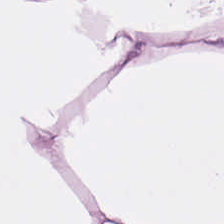H&E · 0.5 microns per pixel — Classification: adipose tissue.
